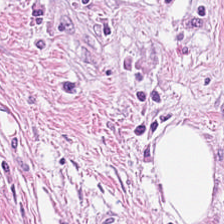FFPE tissue section; whole-slide-image patch; H&E stain — Tumor-associated stroma.
